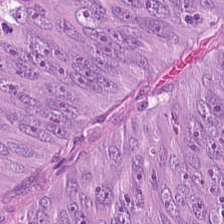Stain: H&E-stained tissue section.
Tile size: 224×224 px patch.
Predominant tissue: adenocarcinoma.
